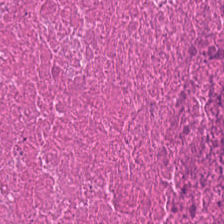H&E; 224×224 px patch.
This patch shows cellular debris.
